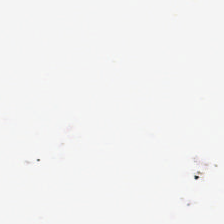Hematoxylin and eosin — Content = background (no tissue).
